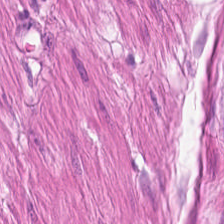Stain: hematoxylin and eosin.
Resolution: 0.5 µm per pixel.
Tissue class: smooth-muscle tissue.
